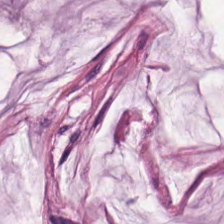H&E. Q: What is shown here?
A: Extracellular mucin.
